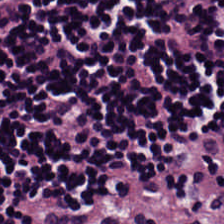H&E stain. Tissue: lymphoid infiltrate.
